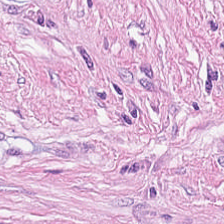Formalin-fixed paraffin-embedded section · H&E-stained tissue section · 224×224 px tile.
This field is tumor stroma.
